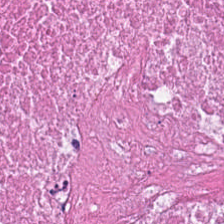H&E — This patch shows debris.
